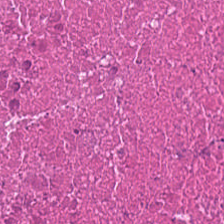Formalin-fixed paraffin-embedded section · H&E.
The tissue type is cellular debris.
